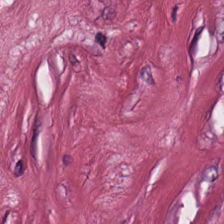H&E stain. Predominantly desmoplastic stroma.
